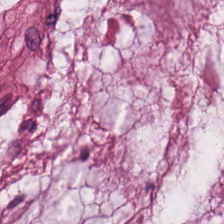H&E — Q: What tissue is shown?
A: The field shows mucus.
